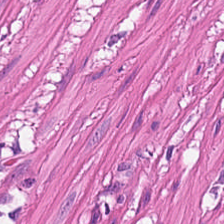H&E stain. This field is muscularis.
